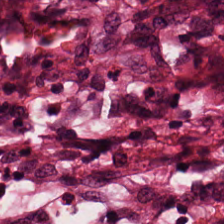Finding → desmoplastic stroma.
